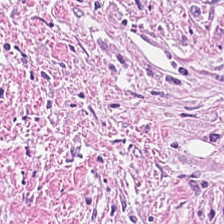FFPE. Hematoxylin-and-eosin stained section — Desmoplastic stroma.
